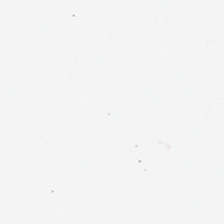H&E stain. Showing adipocytes.
